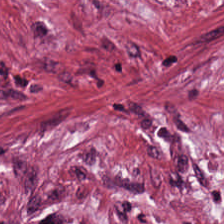Stain: H&E stain.
Tile size: 224×224 pixel tile.
Acquisition: whole-slide-image patch.
Tissue: cancer-associated stroma.
